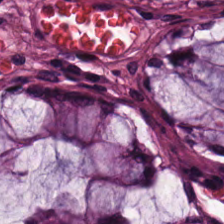Hematoxylin and eosin.
Q: What is the predominant tissue type?
A: The field shows normal colonic mucosa.
